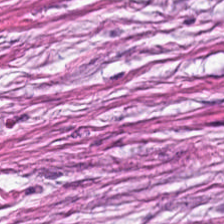Q: What tissue type is shown here?
A: Desmoplastic stroma.
